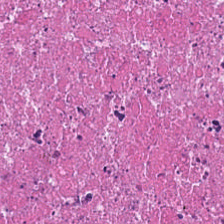0.5 µm per pixel · hematoxylin-and-eosin stained section. Q: What tissue is shown?
A: This is necrotic debris.
